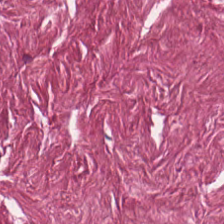H&E-stained tissue section. {"tissue_type": "tumor-associated stroma"}
